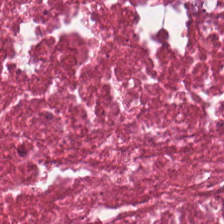H&E · 224×224 px tile. Q: What is shown in this field?
A: The field shows cellular debris.
